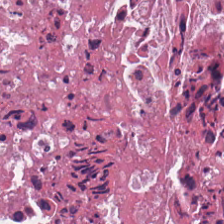The predominant tissue is cellular debris.
